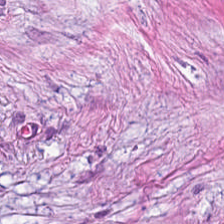Hematoxylin-and-eosin stained section · WSI patch · 0.5 microns per pixel.
The tissue class is cancer-associated stroma.
